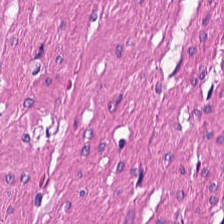H&E. This field is smooth muscle.
